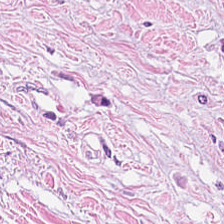H&E — tumor stroma.
